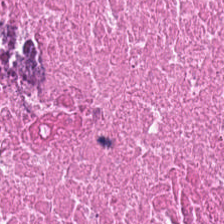H&E-stained tissue section · 0.5 µm/px.
{"tissue_type": "necrotic debris"}
